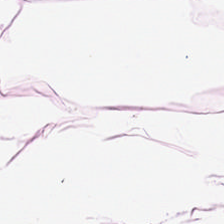H&E stain. Formalin-fixed paraffin-embedded section — Tissue type — adipose.
